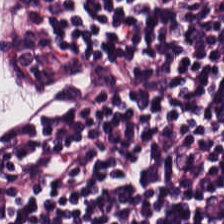Hematoxylin and eosin — Classification — lymphocytic infiltrate.
